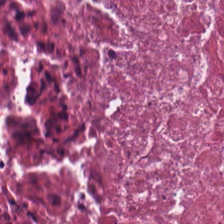Hematoxylin-and-eosin stained section — Showing necrotic debris.
